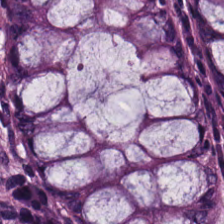0.5 microns per pixel · H&E stain — Tissue class — normal colon mucosa.
